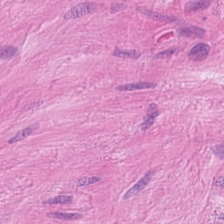Hematoxylin and eosin — Histology — smooth-muscle tissue.
